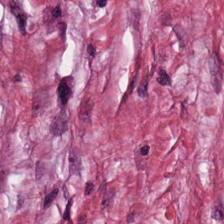224×224 px tile · H&E stain. The predominant tissue is cancer-associated stroma.
